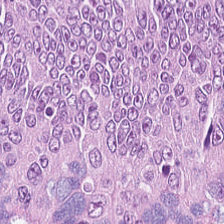H&E · 224×224 px patch. Q: What is shown here?
A: This is malignant epithelium.
